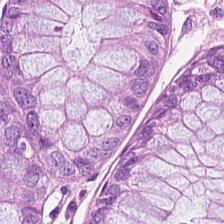Stain: H&E stain.
Tissue type: non-neoplastic colon mucosa.
